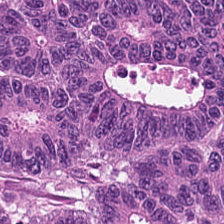0.5 µm/px; hematoxylin and eosin; WSI patch.
The tissue class is adenocarcinoma.
